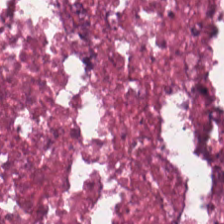Hematoxylin-and-eosin stained section — Predominantly debris.
